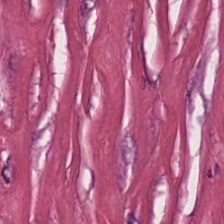H&E · WSI patch — {"tissue_type": "tumor stroma"}
